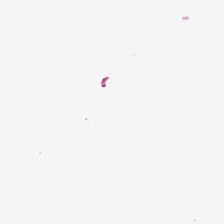H&E-stained tissue section — Q: What does this patch show?
A: The field shows background.
